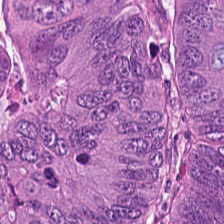H&E patch showing tumor epithelium.
